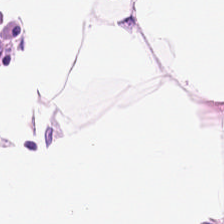FFPE tissue section · hematoxylin and eosin. Finding — fat tissue.
